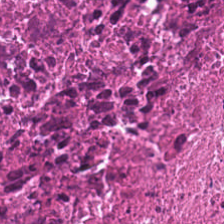Stain: H&E.
Preparation: FFPE tissue section.
Predominant tissue: debris.
